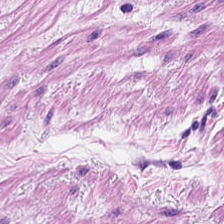Hematoxylin-and-eosin stained section.
{"tissue_type": "smooth-muscle tissue"}
